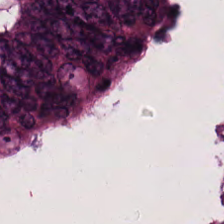224×224 px tile; H&E stain. The tissue type is malignant epithelium.
